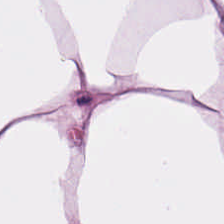Tissue = adipocytes.
